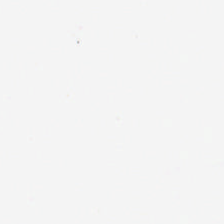224×224 pixel tile · brightfield · H&E-stained tissue section.
Field content — background (no tissue).
